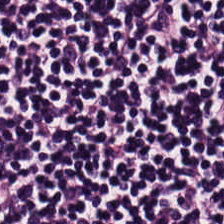H&E stain; brightfield; 224×224 pixel tile. The predominant tissue is lymphocytes.
